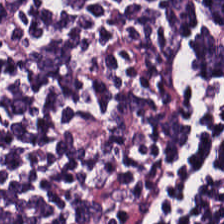224×224 px tile; 0.5 µm/px; H&E-stained tissue section.
Tissue — lymphocytes.
